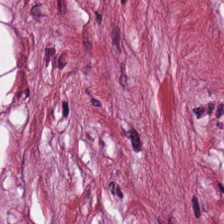Brightfield · 0.5 µm/px · hematoxylin and eosin. The predominant tissue is tumor-associated stroma.
